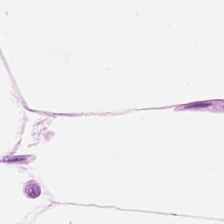H&E-stained tissue section. 0.5 µm/px.
Predominant tissue: fat tissue.
